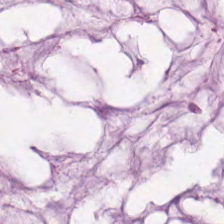224×224 px tile; H&E; FFPE. The tissue type is mucus.
